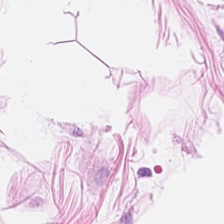Hematoxylin-and-eosin stained section · FFPE tissue section.
This field is adipocytes.
